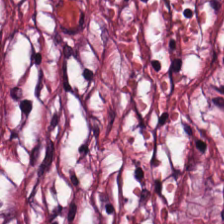Stain: H&E stain.
Tissue type: tumor stroma.
